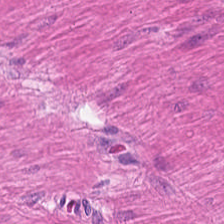Hematoxylin and eosin. The tissue type is muscularis.
